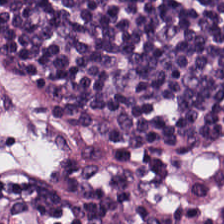H&E-stained section; the field shows lymphoid infiltrate.
